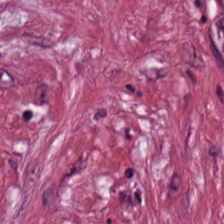Stain: H&E.
Tissue class: cancer-associated stroma.
